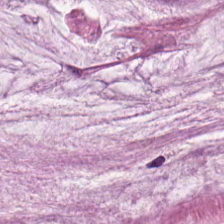Q: What is shown here?
A: It is extracellular mucin.
